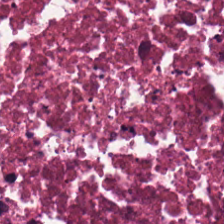H&E stain · brightfield · 0.5 µm per pixel. Showing cellular debris.
